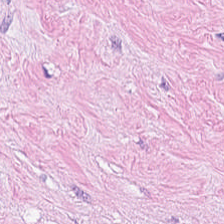H&E.
Histology → desmoplastic stroma.
